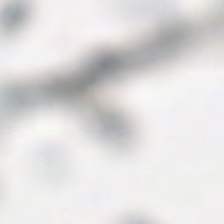Hematoxylin and eosin; 0.5 µm/px. No tissue present; background only.
